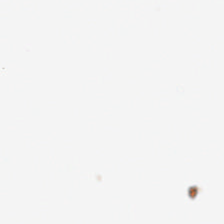Stain: H&E-stained tissue section.
Field content: background.
